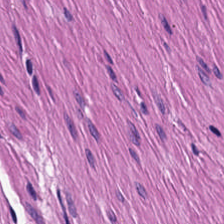H&E stain; 0.5 microns per pixel. Tissue type = smooth-muscle tissue.
